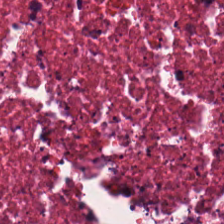20× equivalent magnification. Hematoxylin and eosin.
{"tissue_type": "cellular debris"}
